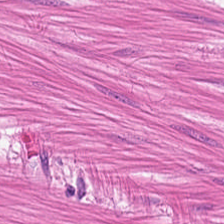Hematoxylin-and-eosin stained section · whole-slide-image patch · FFPE.
Predominant tissue = smooth muscle.
